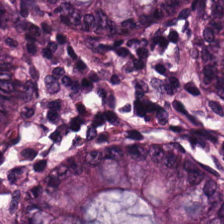Q: What is the predominant tissue type?
A: Non-neoplastic colon mucosa.
